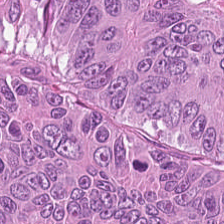Hematoxylin and eosin. Finding → tumor epithelium.
